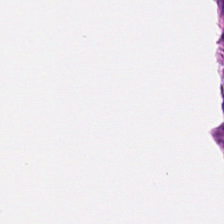Stain: H&E stain.
Classification: muscularis.
